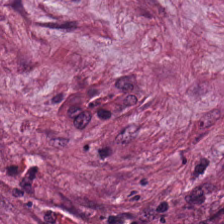Stain: hematoxylin and eosin.
Tissue: tumor stroma.
